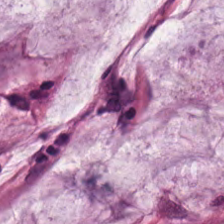The predominant tissue is mucus.
